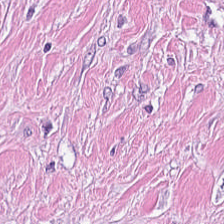Stain: H&E.
Tile size: 224×224 px patch.
Tissue class: desmoplastic stroma.
